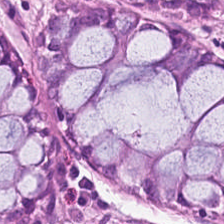H&E.
Predominant tissue — normal colon mucosa.
